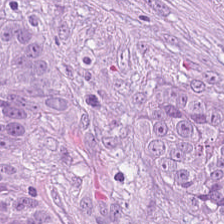Brightfield microscopy. H&E stain. The tissue here is malignant epithelium.
